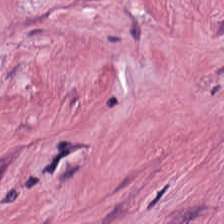FFPE; H&E-stained tissue section — The tissue is desmoplastic stroma.
